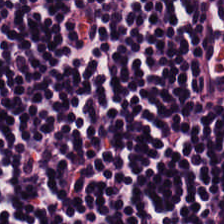WSI patch; hematoxylin and eosin. Finding — lymphoid infiltrate.
